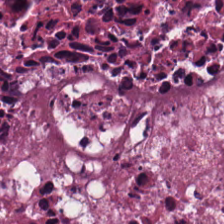Hematoxylin-and-eosin section: necrotic debris.
